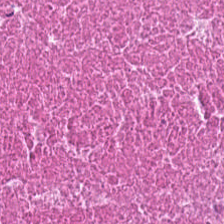H&E · 224×224 px patch — The predominant tissue is debris.
